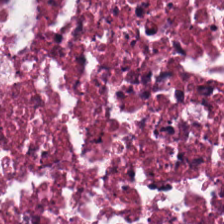Impression — necrotic debris.
